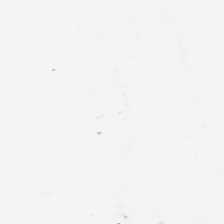Background — no tissue in this field.
